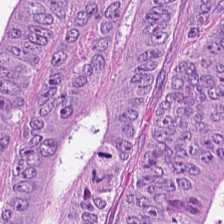Tissue class = tumor epithelium.
